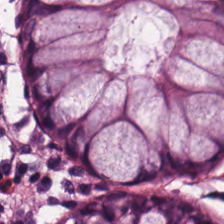Hematoxylin and eosin. Brightfield microscopy. FFPE tissue section.
The predominant tissue is benign colonic mucosa.
